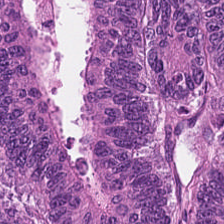Hematoxylin-and-eosin stained section.
The predominant tissue is colorectal adenocarcinoma epithelium.
